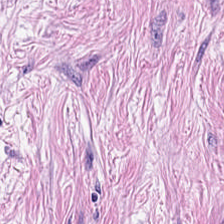Whole-slide-image patch; H&E; 0.5 µm/px.
Tumor-associated stroma.
